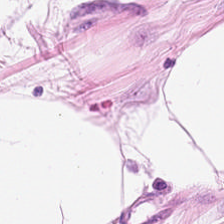Hematoxylin-and-eosin stained section. {"tissue_type": "fat tissue"}
